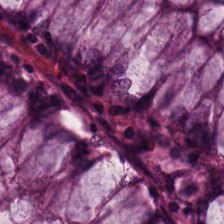Hematoxylin-and-eosin stained section — Q: What is shown here?
A: Non-neoplastic colon mucosa.
